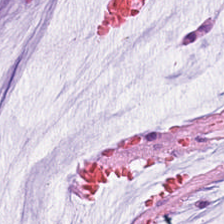WSI patch. 0.5 µm/px. H&E stain — Q: What is shown in this field?
A: This is mucin.
